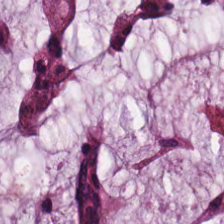H&E stain. Classification — mucin.
